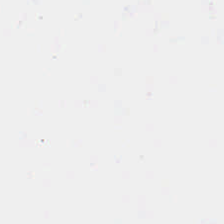The content is background.
